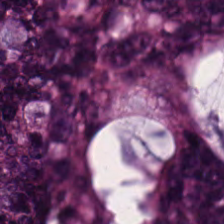Impression → tumor epithelium.
